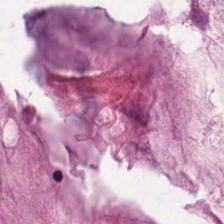224×224 pixel tile; H&E-stained tissue section.
Tissue: mucin.
